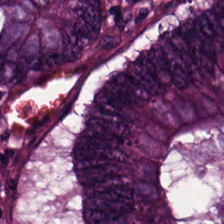FFPE tissue section · H&E-stained tissue section · 0.5 µm/px.
The tissue here is adenocarcinoma.
